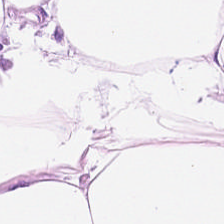Whole-slide-image patch · H&E stain.
Showing adipose.
